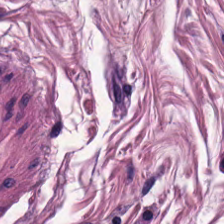Predominant tissue — muscularis.
